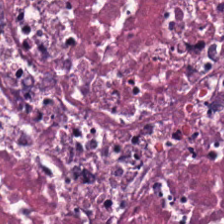Hematoxylin-and-eosin stained section — This patch shows debris.
